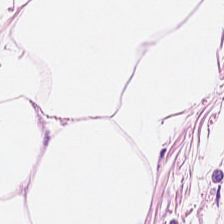0.5 µm per pixel; H&E-stained tissue section. This patch shows adipocytes.
